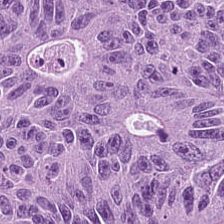H&E-stained tissue section. Q: What tissue is shown?
A: Colorectal adenocarcinoma epithelium.
